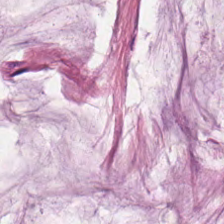Hematoxylin and eosin.
This field is mucin.
